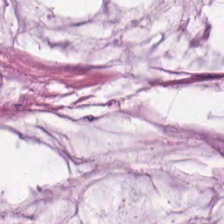Stain: H&E-stained tissue section.
Acquisition: WSI patch.
Tissue class: extracellular mucin.
